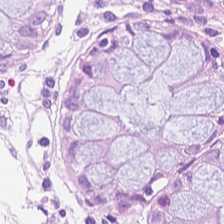H&E. FFPE. The tissue here is normal colon mucosa.
